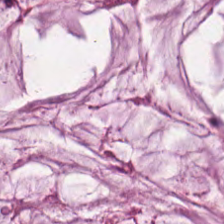Q: What is the predominant tissue type?
A: It is mucus.
